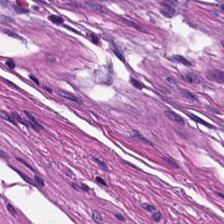H&E · FFPE tissue section.
{"tissue_type": "muscularis"}
